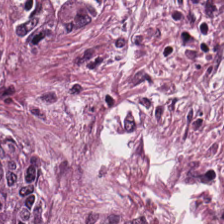H&E · 224×224 pixel tile · 0.5 µm per pixel — Classification: malignant epithelium.
